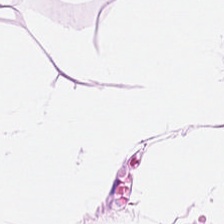Hematoxylin and eosin · 0.5 microns per pixel — Impression — adipose tissue.
